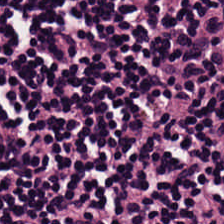0.5 µm per pixel. H&E stain. 224×224 px tile.
Lymphocytic infiltrate.
